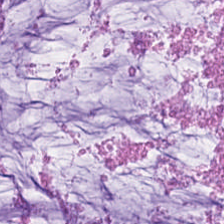Stain: hematoxylin-and-eosin stained section.
Acquisition: brightfield microscopy.
Tissue: extracellular mucin.
